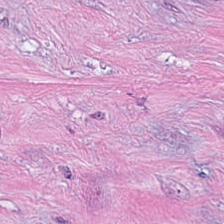H&E stain — Tissue class — cancer-associated stroma.
